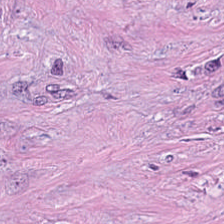Tissue class — cancer-associated stroma.
